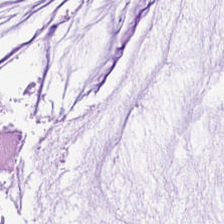Hematoxylin and eosin; 224×224 px patch; formalin-fixed paraffin-embedded section — Showing mucus.
